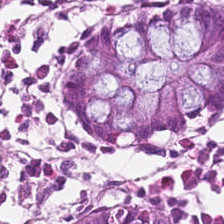H&E — Tissue type: non-neoplastic colon mucosa.
